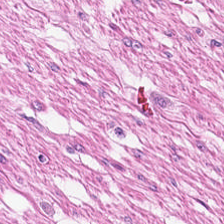0.5 µm/px · H&E — The predominant tissue is muscularis.
